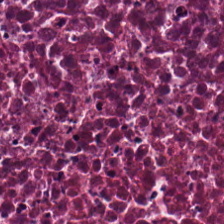H&E stain — Classification = necrotic debris.
